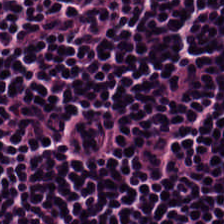H&E stain.
Lymphocytes.
